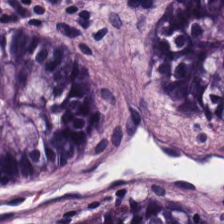Q: Identify the tissue.
A: The field shows normal colonic mucosa.
